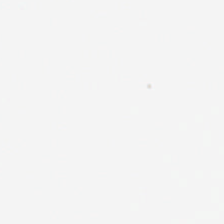Hematoxylin-and-eosin stained section. Formalin-fixed paraffin-embedded section — This patch shows background (no tissue).
